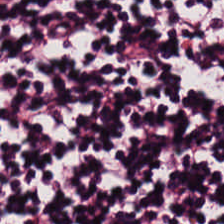H&E-stained tissue section · 224×224 px tile.
Predominantly lymphoid infiltrate.
